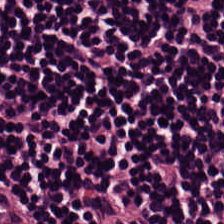Q: What is the predominant tissue type?
A: This is lymphoid infiltrate.
